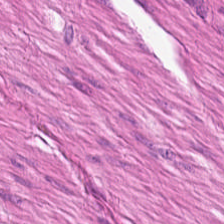H&E · FFPE. Q: Classify this patch.
A: Smooth muscle.
